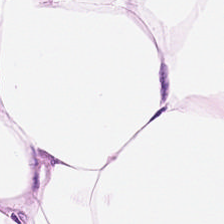Formalin-fixed paraffin-embedded section. H&E-stained tissue section. Tissue type: fat tissue.
